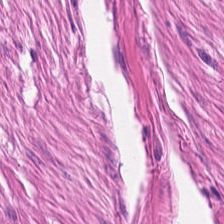H&E stain. FFPE — Impression → muscularis.
